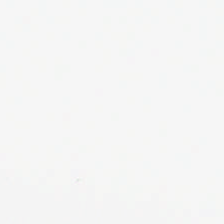Stain: hematoxylin-and-eosin stained section.
Preparation: formalin-fixed paraffin-embedded section.
Content: background.
